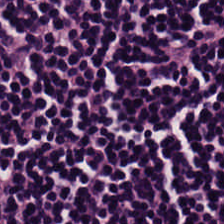Hematoxylin and eosin — Finding → lymphoid infiltrate.
